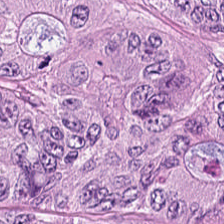H&E-stained tissue section.
Q: What is shown in this field?
A: Tumor epithelium.
